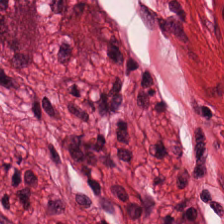H&E-stained tissue section.
Q: What is the predominant tissue type?
A: This is smooth muscle.
